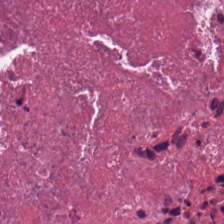Tissue class — cellular debris.
